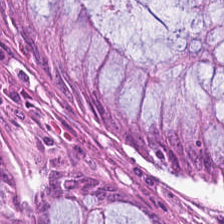Predominant tissue: benign colonic mucosa.
